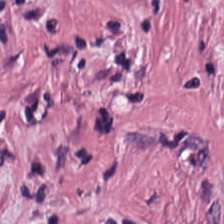20× equivalent magnification; hematoxylin and eosin; 224×224 pixel tile. Showing tumor stroma.
